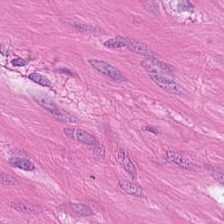Hematoxylin-and-eosin stained section. Q: Classify this patch.
A: This is smooth muscle.
